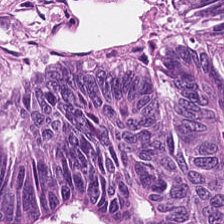Tissue class = adenocarcinoma.
